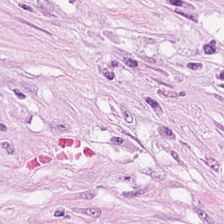Hematoxylin-and-eosin stained section.
Finding — cancer-associated stroma.
